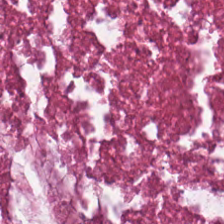Q: What does this patch show?
A: The field shows debris.
